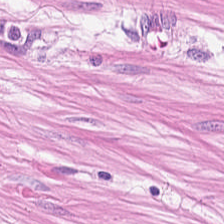Hematoxylin-and-eosin stained section; brightfield microscopy.
Impression → smooth-muscle tissue.
